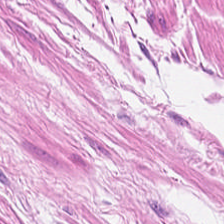Histology — smooth muscle.
